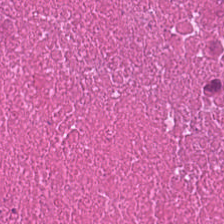H&E stain.
The predominant tissue is cellular debris.
